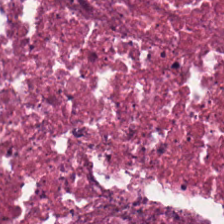H&E. {"tissue_type": "necrotic debris"}
